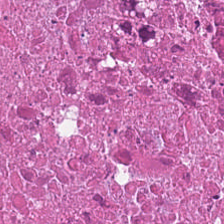H&E stain; 224×224 px patch; whole-slide-image patch.
The predominant tissue is cellular debris.
